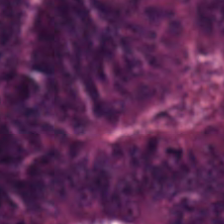H&E-stained tissue section. 224×224 px patch. Whole-slide-image patch.
The predominant tissue is adenocarcinoma.
